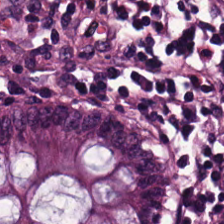FFPE. H&E stain. 224×224 pixel tile. Classification: normal colonic mucosa.
